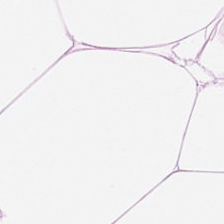H&E-stained tissue section · 0.5 µm per pixel · whole-slide-image patch.
Classification — fat tissue.
